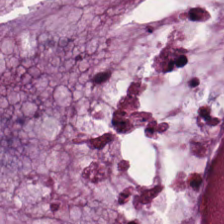Hematoxylin and eosin — This patch shows extracellular mucin.
